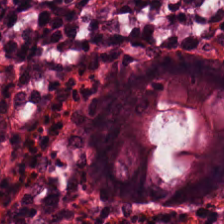H&E stain.
Classification — benign colonic mucosa.
